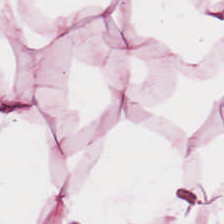FFPE tissue section; hematoxylin and eosin; 0.5 µm/px — Impression — adipocytes.
